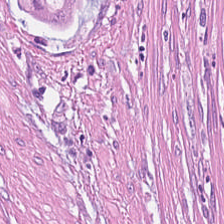224×224 px tile. H&E-stained tissue section — Showing tumor-associated stroma.
